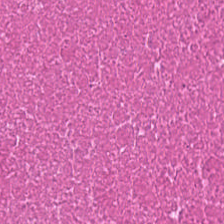Hematoxylin-and-eosin stained section · whole-slide-image patch · 224×224 pixel tile.
Finding — cellular debris.
